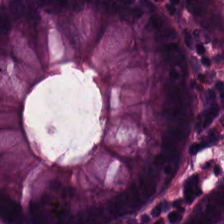H&E-stained tissue section.
Tissue class = normal colon mucosa.
